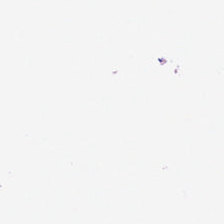224×224 pixel tile · hematoxylin-and-eosin stained section · formalin-fixed paraffin-embedded section — Background — no tissue in this field.
